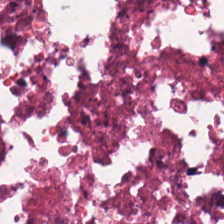Hematoxylin and eosin; 0.5 µm per pixel.
{"tissue_type": "cellular debris"}
